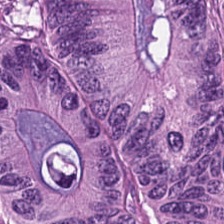Hematoxylin and eosin.
This patch shows tumor epithelium.
